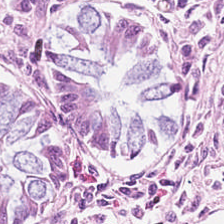Tissue type: normal colon mucosa.
